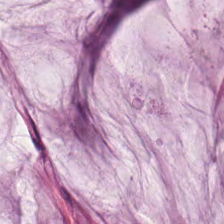H&E-stained tissue section. Finding → mucus.
